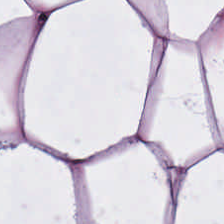The tissue type is adipocytes.
